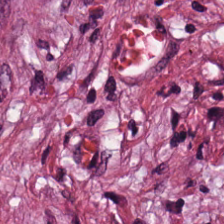Hematoxylin-and-eosin stained section.
Q: Classify this patch.
A: Tumor-associated stroma.
